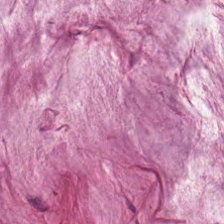Extracellular mucin.
